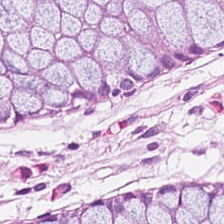224×224 pixel tile; H&E-stained tissue section. The tissue here is normal colon mucosa.
